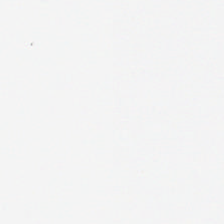0.5 µm/px · hematoxylin and eosin · FFPE.
Q: Classify this patch.
A: It is background (no tissue).
